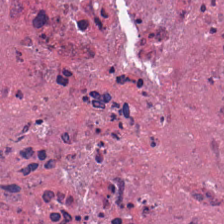Finding → debris.
